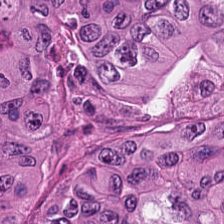Hematoxylin-and-eosin stained section. 224×224 px tile. Brightfield microscopy — Q: What does this patch show?
A: Malignant epithelium.
